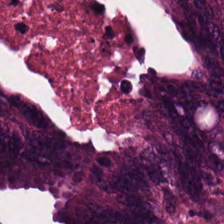Hematoxylin and eosin; whole-slide-image patch; 224×224 px patch.
Q: What is shown in this field?
A: Tumor epithelium.
